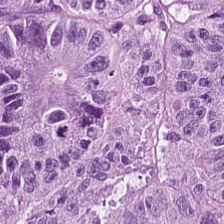H&E stain — Predominantly colorectal adenocarcinoma.
